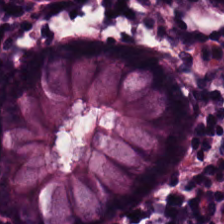H&E — Finding → normal colonic mucosa.
